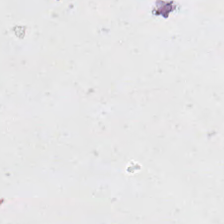Hematoxylin and eosin.
Finding → no tissue.
